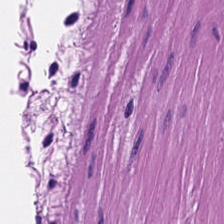0.5 microns per pixel. Hematoxylin-and-eosin stained section. Tissue type: muscularis.
